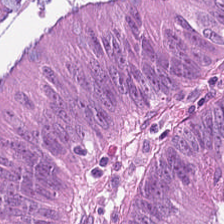H&E-stained tissue section — This patch shows colorectal adenocarcinoma epithelium.
